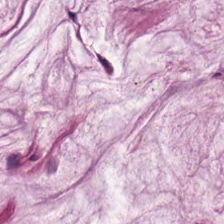Hematoxylin-and-eosin stained section.
The tissue here is mucin.
